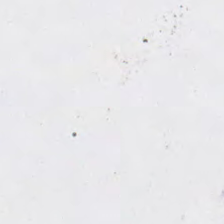Classification: background.
